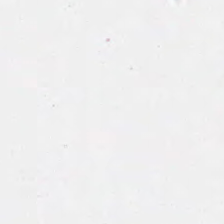0.5 µm per pixel. Hematoxylin and eosin. Finding — empty background.
